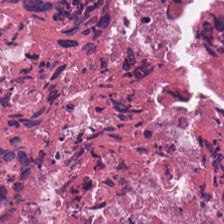Hematoxylin-and-eosin stained section · brightfield.
Q: What is shown in this field?
A: This is debris.
